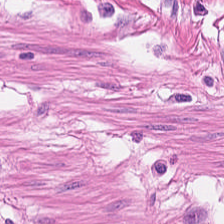Brightfield · FFPE tissue section · hematoxylin-and-eosin stained section — Q: What tissue type is shown here?
A: It is smooth muscle.
